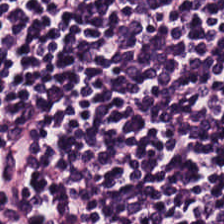The tissue type is lymphocytes.
